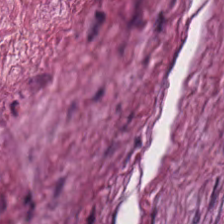Brightfield microscopy. Hematoxylin-and-eosin stained section. 224×224 pixel tile.
The predominant tissue is tumor-associated stroma.
